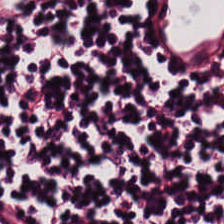H&E stain.
Histology — lymphocytic infiltrate.
